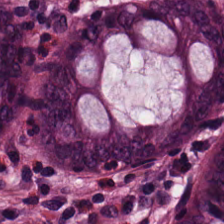Brightfield microscopy · FFPE · hematoxylin-and-eosin stained section — This patch shows normal colonic mucosa.
